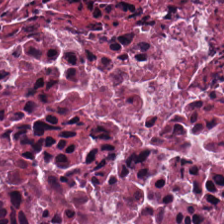224×224 px tile. H&E-stained tissue section.
The classification is cellular debris.
